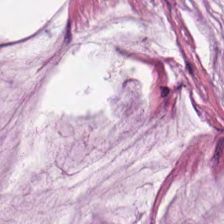Hematoxylin-and-eosin section: extracellular mucin.
